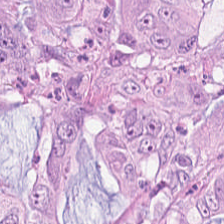Tissue class = malignant epithelium.
